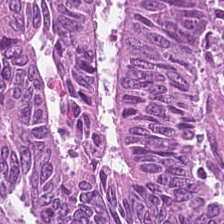H&E patch showing colorectal adenocarcinoma.
